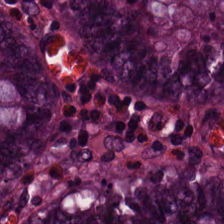Hematoxylin-and-eosin stained section. Normal colon mucosa.
